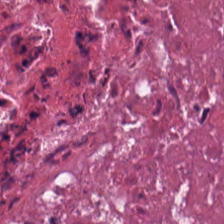Hematoxylin and eosin; brightfield — Histology — cellular debris.
